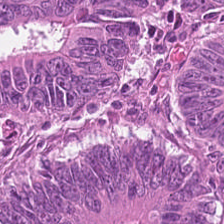H&E patch showing tumor epithelium.
